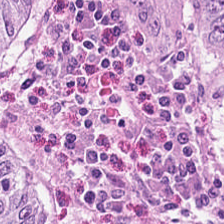20× equivalent magnification. Hematoxylin and eosin. The tissue is adenocarcinoma.
